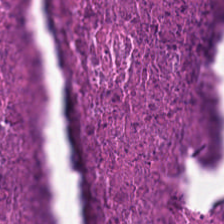H&E. Predominantly cellular debris.
